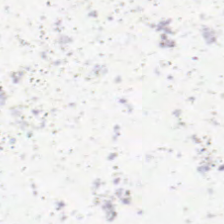Hematoxylin-and-eosin stained section. Q: What is shown in this field?
A: The field shows no tissue.
